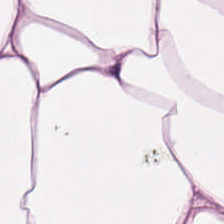Tissue type — fat tissue.
